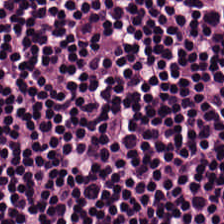Hematoxylin and eosin — {"tissue_type": "lymphocyte aggregate"}
